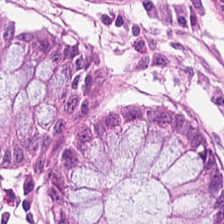H&E stain.
Q: What type of tissue is this?
A: This is benign colonic mucosa.
